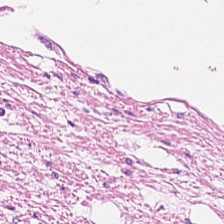Hematoxylin and eosin. 0.5 microns per pixel.
Predominantly smooth muscle.
